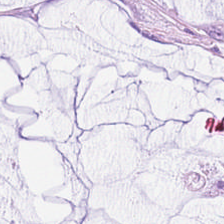Stain: H&E.
Resolution: 0.5 µm per pixel.
Tissue: mucus.
